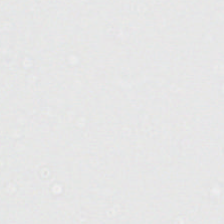Finding → no tissue.
